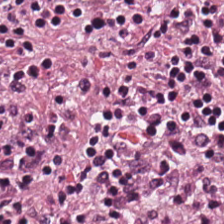Hematoxylin and eosin. Predominantly lymphoid infiltrate.
